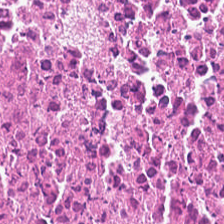H&E · WSI patch — Finding → necrotic debris.
